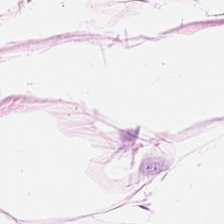Hematoxylin-and-eosin stained section. {"tissue_type": "fat tissue"}
